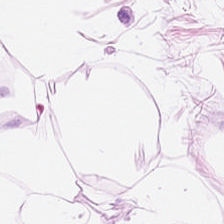H&E stain. Tissue — adipocytes.
